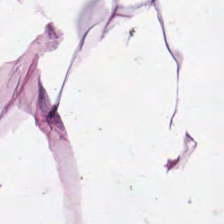H&E stain.
Q: What does this patch show?
A: It is adipocytes.
